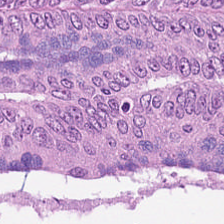H&E-stained tissue section · FFPE — Showing colorectal adenocarcinoma.
